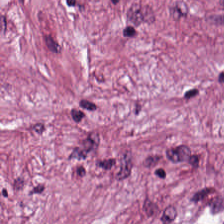0.5 µm per pixel. H&E. Brightfield microscopy.
Predominant tissue — tumor-associated stroma.
